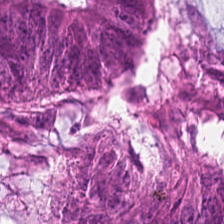224×224 px tile. Hematoxylin and eosin. Impression — tumor epithelium.
